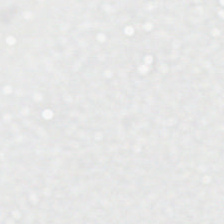H&E; 224×224 px tile. Field content = empty background.
